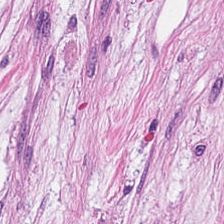H&E-stained tissue section.
Tumor stroma.
